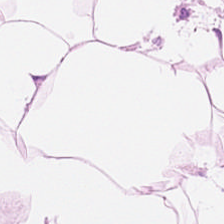H&E stain — Q: What type of tissue is this?
A: This is adipocytes.
